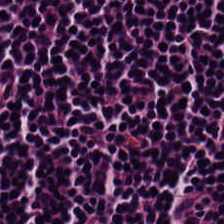Formalin-fixed paraffin-embedded section; H&E; WSI patch. This field is lymphocytic infiltrate.
